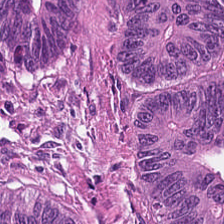H&E stain — This field is adenocarcinoma.
